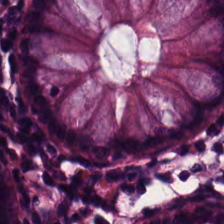Hematoxylin and eosin — Classification: normal colon mucosa.
